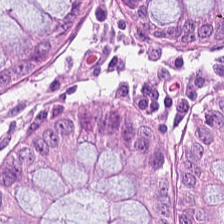FFPE · hematoxylin and eosin — This field is non-neoplastic colon mucosa.
